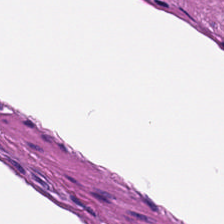Hematoxylin-and-eosin stained section. 0.5 µm per pixel.
Tissue class — smooth-muscle tissue.
